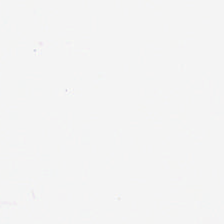Hematoxylin-and-eosin stained section — Impression → background (no tissue).
